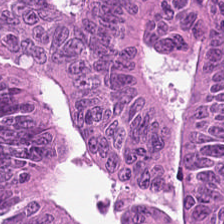H&E-stained tissue section · 224×224 px patch — Q: What is shown here?
A: This is malignant epithelium.
